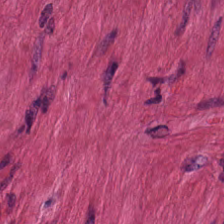Q: Identify the tissue.
A: It is muscularis.
